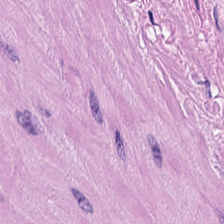Predominant tissue: muscularis.
